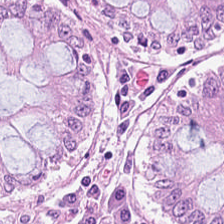H&E — non-neoplastic colon mucosa.
